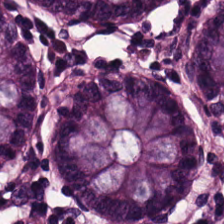Q: What type of tissue is this?
A: It is benign colonic mucosa.
